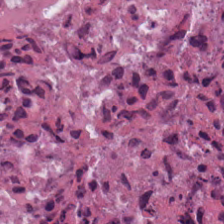0.5 µm per pixel · H&E-stained tissue section. {"tissue_type": "cellular debris"}
